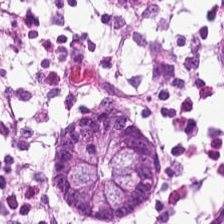{"tissue_type": "normal colonic mucosa"}
